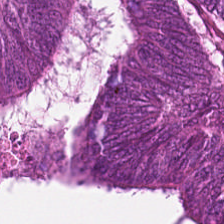Brightfield. H&E stain. 0.5 microns per pixel. Q: Classify this patch.
A: Malignant epithelium.
